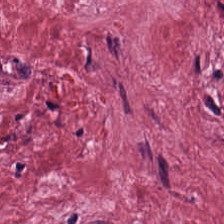The tissue class is tumor-associated stroma.
